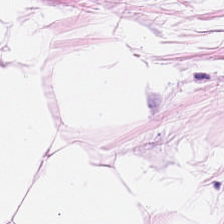Q: What does this patch show?
A: The field shows adipose tissue.
